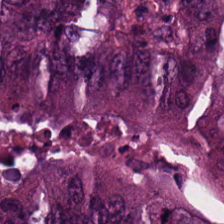FFPE · hematoxylin and eosin — Showing adenocarcinoma.
